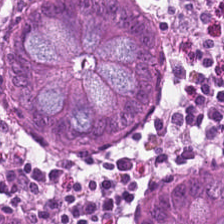H&E. Formalin-fixed paraffin-embedded section.
This patch shows normal colonic mucosa.
